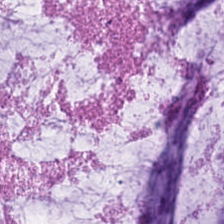Hematoxylin and eosin. FFPE.
Tissue type: mucus.
